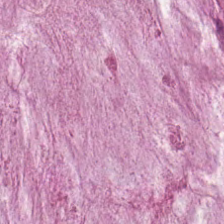H&E-stained tissue section · brightfield microscopy · FFPE tissue section. Histology → mucus.
